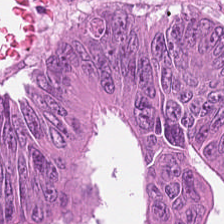Hematoxylin-and-eosin stained section. 0.5 microns per pixel. FFPE tissue section. {"tissue_type": "tumor epithelium"}
